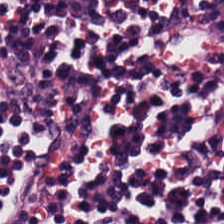Stain: H&E stain.
Tissue type: lymphoid infiltrate.
